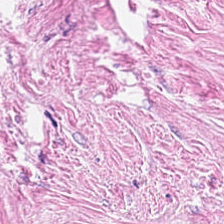Hematoxylin-and-eosin stained section — {"tissue_type": "tumor stroma"}
